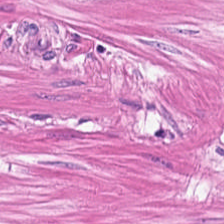Hematoxylin-and-eosin stained section. The predominant tissue is smooth muscle.
